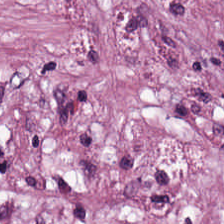H&E-stained tissue section. WSI patch. 224×224 px patch. Showing tumor stroma.
